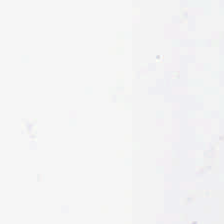Hematoxylin-and-eosin stained section; 20× equivalent magnification.
Field content: no tissue.
